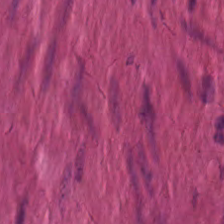Tissue type: muscularis.
